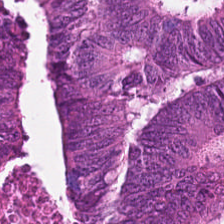H&E-stained tissue section · whole-slide-image patch. {"tissue_type": "colorectal adenocarcinoma"}
